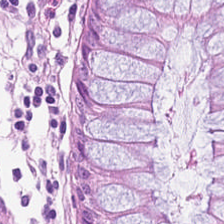Hematoxylin and eosin. Tissue type: normal colonic mucosa.
